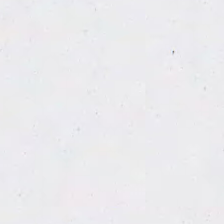Q: What is shown in this field?
A: It is no tissue.
